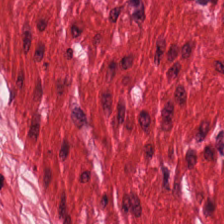H&E. Q: What is shown in this field?
A: This is smooth muscle.
